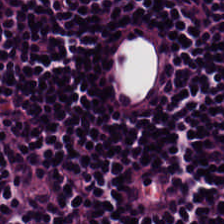H&E — Predominant tissue — lymphocytic infiltrate.
